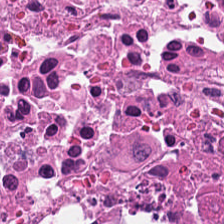Impression → debris.
